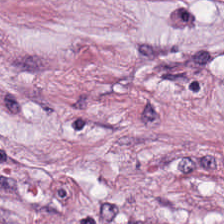Hematoxylin-and-eosin stained section. The tissue here is desmoplastic stroma.
